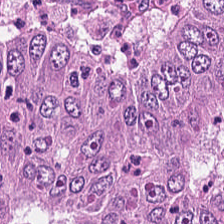0.5 µm per pixel · hematoxylin-and-eosin stained section. This patch shows colorectal adenocarcinoma.
